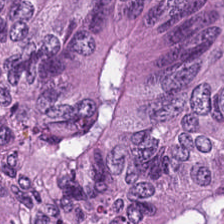This patch shows malignant epithelium.
